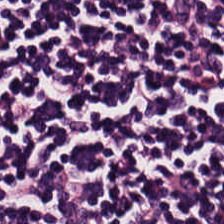0.5 µm per pixel · hematoxylin and eosin · 224×224 pixel tile. Tissue: lymphocyte aggregate.
